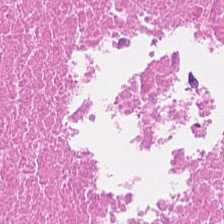H&E.
Predominant tissue = necrotic debris.
